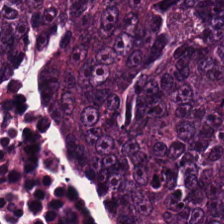H&E-stained tissue section.
Tissue class = tumor epithelium.
